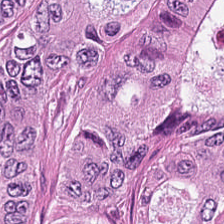H&E — Q: What tissue type is shown here?
A: Malignant epithelium.
